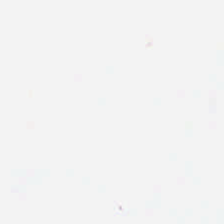Hematoxylin-and-eosin stained section.
This patch shows background (no tissue).
